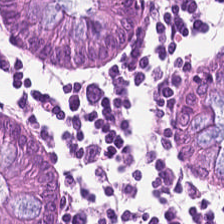Hematoxylin-and-eosin stained section. Q: What tissue type is shown here?
A: The field shows normal colon mucosa.
